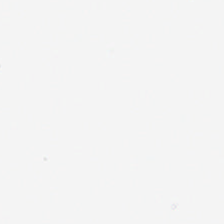H&E-stained tissue section. Empty field — no tissue.
